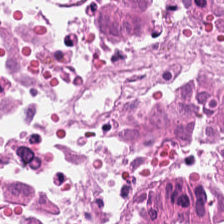Brightfield. Formalin-fixed paraffin-embedded section. Hematoxylin-and-eosin stained section.
Q: What is shown in this field?
A: It is cellular debris.
